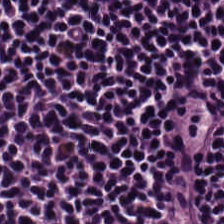Stain: H&E-stained tissue section.
Tissue: lymphocytes.
